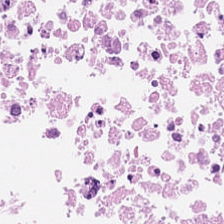H&E — This field is necrotic debris.
